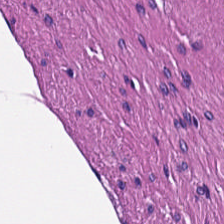H&E · 224×224 px patch.
Predominantly smooth-muscle tissue.
